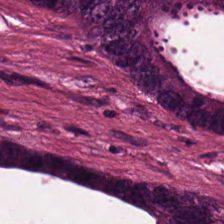Hematoxylin-and-eosin stained section; WSI patch. Q: What does this patch show?
A: This is adenocarcinoma.
